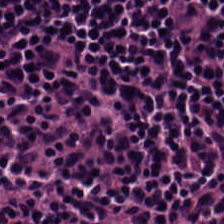0.5 µm/px. 224×224 pixel tile. H&E stain.
{"tissue_type": "lymphocyte aggregate"}
